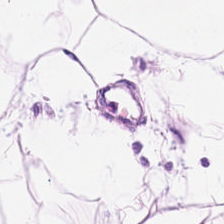Hematoxylin-and-eosin stained section. Tissue class = adipose.
